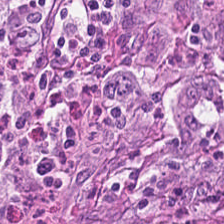H&E stain; brightfield.
{"tissue_type": "colorectal adenocarcinoma epithelium"}
